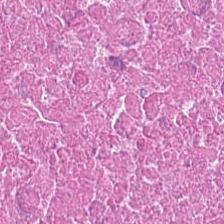Tissue class — debris.
